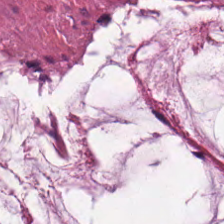Formalin-fixed paraffin-embedded section · H&E stain — Impression — extracellular mucin.
